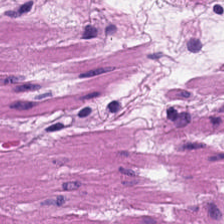WSI patch; H&E stain. This field is muscularis.
